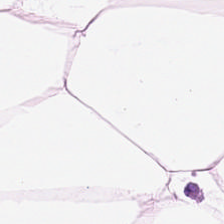Hematoxylin-and-eosin stained section — Showing fat tissue.
